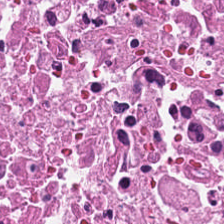0.5 µm per pixel. H&E stain. This field is cellular debris.
